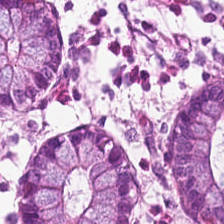H&E stain. The tissue type is non-neoplastic colon mucosa.
